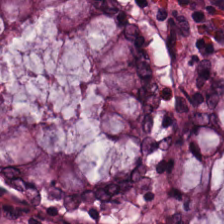Stain: hematoxylin-and-eosin stained section.
Preparation: FFPE.
Predominant tissue: benign colonic mucosa.
